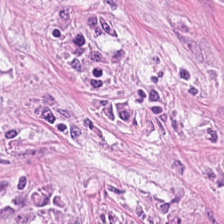Predominant tissue: tumor stroma.
